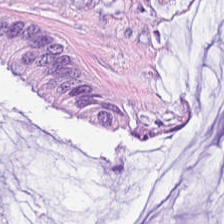H&E-stained tissue section showing mucus.
